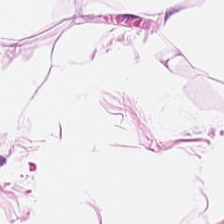Stain: hematoxylin-and-eosin stained section.
Tissue type: adipose.
